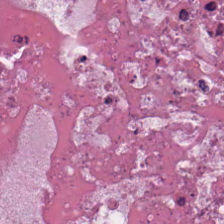Stain: H&E-stained tissue section.
Tissue class: cellular debris.
